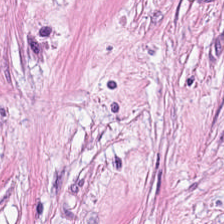Stain: H&E.
Tile size: 224×224 px tile.
Acquisition: brightfield.
Tissue type: tumor stroma.
